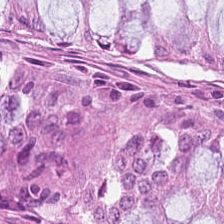H&E. Predominant tissue — normal colon mucosa.
